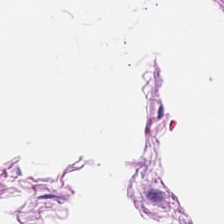Brightfield; H&E-stained tissue section; 224×224 pixel tile — This field is muscularis.
